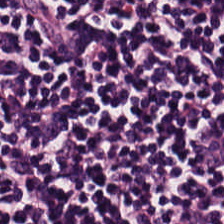Brightfield · hematoxylin-and-eosin stained section · formalin-fixed paraffin-embedded section. Lymphocytes.
